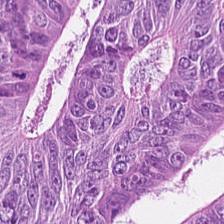224×224 pixel tile. Whole-slide-image patch. H&E.
This patch shows adenocarcinoma.
